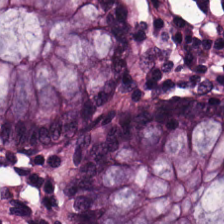H&E — Q: What does this patch show?
A: This is normal colonic mucosa.
